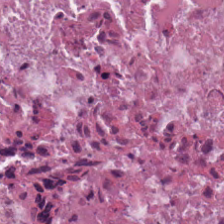Stain: H&E-stained tissue section.
Tissue class: cellular debris.
